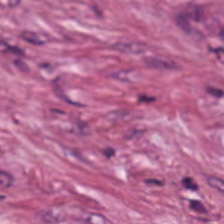Hematoxylin and eosin · 224×224 px tile.
Classification: desmoplastic stroma.
